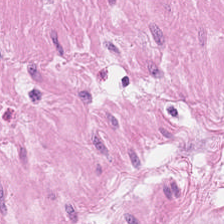H&E. FFPE tissue section — The tissue here is smooth muscle.
